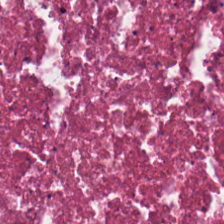This patch shows debris.
